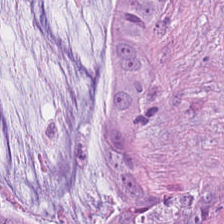Stain: hematoxylin-and-eosin stained section.
Preparation: formalin-fixed paraffin-embedded section.
Tissue: colorectal adenocarcinoma.
